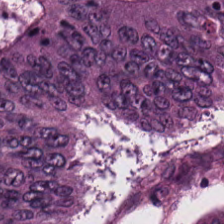H&E. Classification: tumor epithelium.
